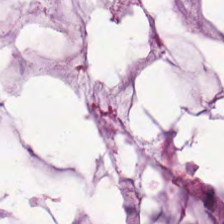H&E stain. Q: Classify this patch.
A: The field shows mucus.
